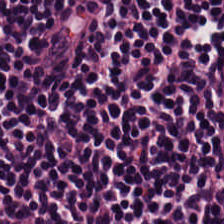Classification: lymphocyte aggregate.
